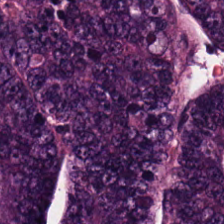H&E.
Predominantly malignant epithelium.
